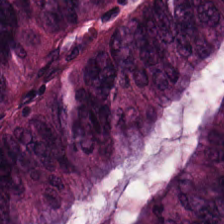Whole-slide-image patch · H&E stain · FFPE tissue section. This patch shows adenocarcinoma.
